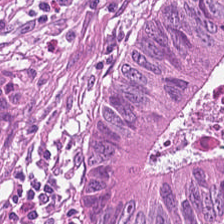Stain: H&E stain.
Tissue class: adenocarcinoma.
